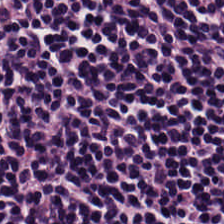H&E stain. The tissue here is lymphocyte aggregate.
